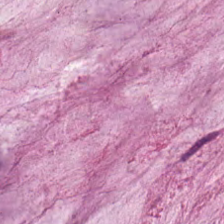Histology — mucin.
